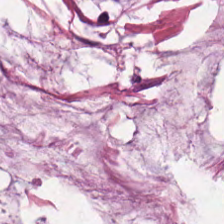H&E.
Mucin.
